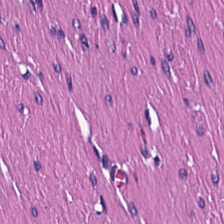Hematoxylin-and-eosin stained section — Impression → muscularis.
